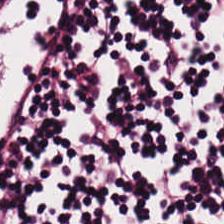H&E stain.
Impression — lymphocytes.
